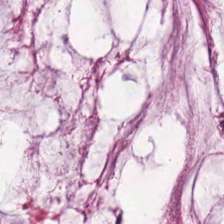Tissue class — mucus.
